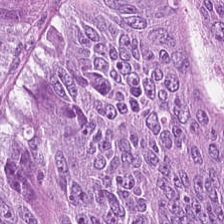Brightfield microscopy; hematoxylin and eosin.
Q: Identify the tissue.
A: It is colorectal adenocarcinoma.
